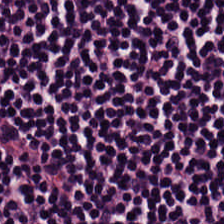0.5 µm/px; H&E.
Tissue type: lymphocytes.
